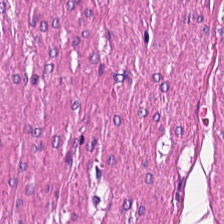WSI patch; hematoxylin and eosin. This patch shows smooth muscle.
